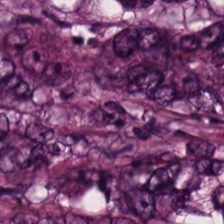Stain: hematoxylin-and-eosin stained section.
Tissue type: malignant epithelium.
